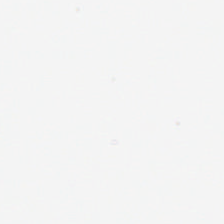Brightfield microscopy; H&E — Background — no tissue in this field.
